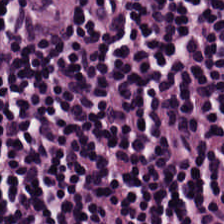FFPE tissue section. H&E-stained tissue section.
Q: What tissue type is shown here?
A: This is lymphocytes.
